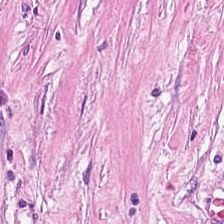Hematoxylin-and-eosin stained section — Tissue: tumor-associated stroma.
